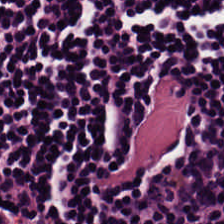Whole-slide-image patch · FFPE tissue section · hematoxylin-and-eosin stained section.
Q: What is shown in this field?
A: Lymphocyte aggregate.
